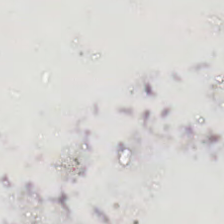H&E stain · 20× equivalent magnification.
Q: What is shown in this field?
A: It is no tissue.
